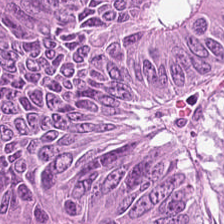20× equivalent magnification. H&E stain — The tissue here is colorectal adenocarcinoma.
